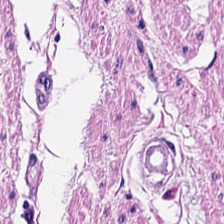224×224 pixel tile; hematoxylin-and-eosin stained section.
The tissue type is smooth-muscle tissue.
